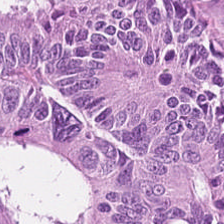Q: What is the predominant tissue type?
A: The field shows adenocarcinoma.
